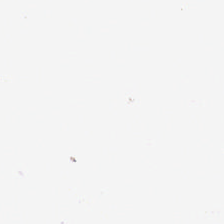H&E-stained tissue section. No tissue present; background only.
